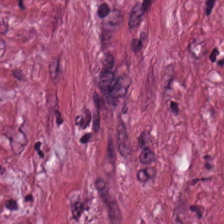H&E-stained tissue section.
The tissue here is tumor stroma.
